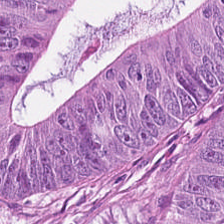Hematoxylin and eosin.
Impression → colorectal adenocarcinoma.
